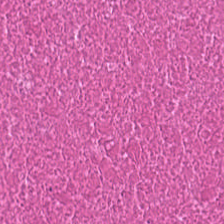Stain: hematoxylin and eosin.
Predominant tissue: necrotic debris.
